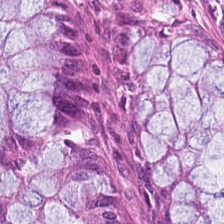H&E-stained section; the field shows non-neoplastic colon mucosa.
